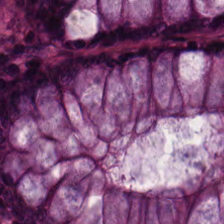Stain: H&E.
Tissue: normal colon mucosa.
